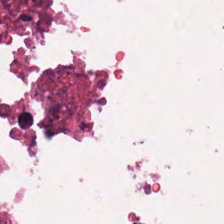Hematoxylin-and-eosin stained section; FFPE; 224×224 px patch.
Necrotic debris.
